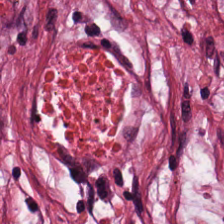H&E-stained tissue section — The predominant tissue is tumor-associated stroma.
